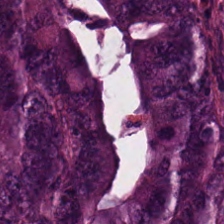Hematoxylin and eosin. Showing adenocarcinoma.
